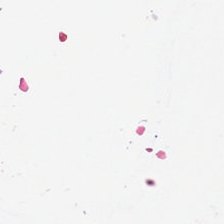0.5 µm/px · H&E · 224×224 px patch. Q: What is shown here?
A: The field shows no tissue.
